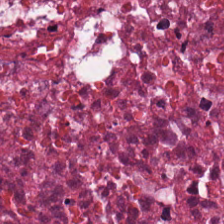0.5 µm/px. H&E-stained tissue section — This field is cellular debris.
